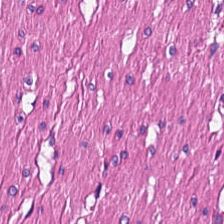H&E-stained section; the field shows muscularis.
